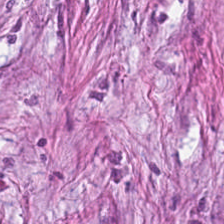224×224 px tile. Hematoxylin-and-eosin stained section. Formalin-fixed paraffin-embedded section — Showing tumor stroma.
